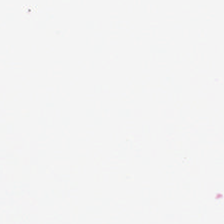Formalin-fixed paraffin-embedded section · 20× equivalent magnification · H&E-stained tissue section — Background — no tissue in this field.
